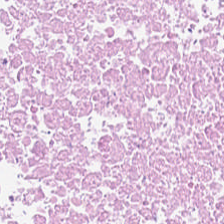H&E stain. FFPE — This patch shows cellular debris.
